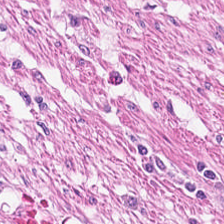Stain: H&E-stained tissue section.
Resolution: 0.5 µm per pixel.
Tile size: 224×224 pixel tile.
Tissue type: smooth muscle.
